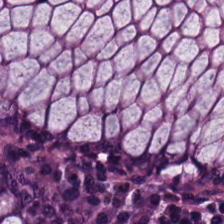FFPE tissue section; H&E. Tissue — normal colon mucosa.
